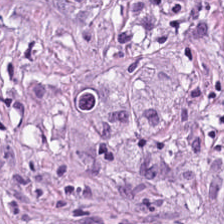H&E stain. Q: What is shown here?
A: It is tumor-associated stroma.
